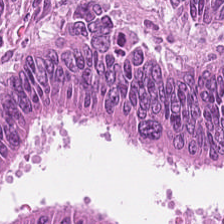224×224 px patch; hematoxylin-and-eosin stained section; 0.5 microns per pixel. Q: What is shown in this field?
A: The field shows colorectal adenocarcinoma epithelium.
